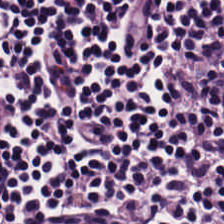Q: What is the predominant tissue type?
A: Lymphocytes.
